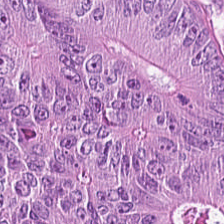H&E stain.
Q: Identify the tissue.
A: The field shows adenocarcinoma.
